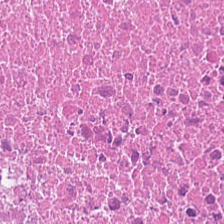H&E-stained tissue section — This field is necrotic debris.
